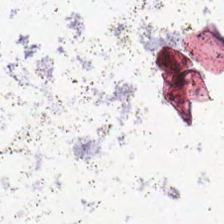WSI patch; H&E stain; 224×224 px tile.
Background.
